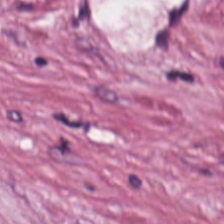The tissue here is tumor stroma.
